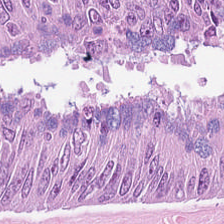The tissue type is tumor epithelium.
